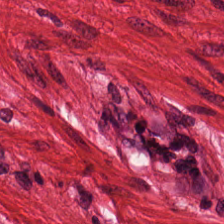H&E. Smooth muscle.
